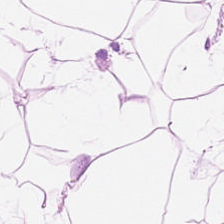H&E-stained tissue section.
Finding → fat tissue.
